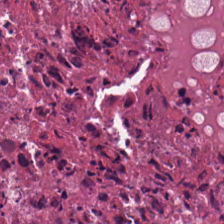Hematoxylin and eosin — Tissue type = necrotic debris.
